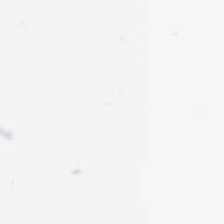H&E stain · WSI patch — Q: What is shown in this field?
A: The field shows background (no tissue).
